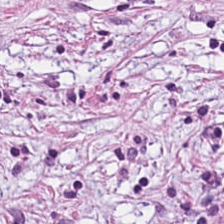H&E-stained section; the field shows cancer-associated stroma.
